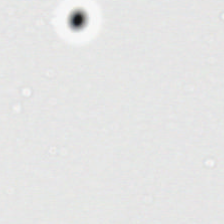{"content": "no tissue"}
